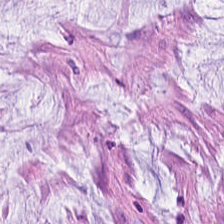This field is extracellular mucin.
